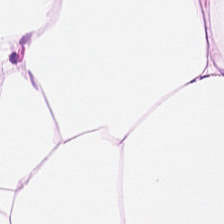H&E-stained tissue section. Q: What is shown here?
A: This is adipose tissue.
